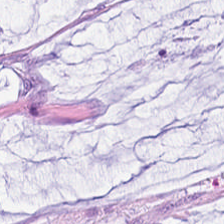H&E-stained tissue section. 0.5 µm per pixel. 224×224 px tile. Showing mucus.
